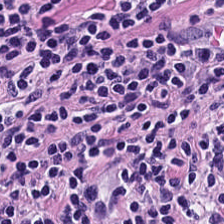Q: Identify the tissue.
A: The field shows lymphoid infiltrate.
